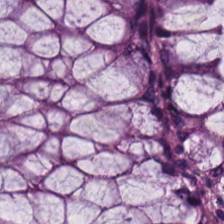The predominant tissue is normal colon mucosa.
